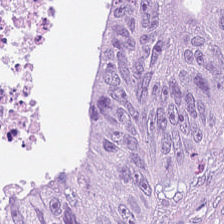Stain: H&E stain.
Tissue type: malignant epithelium.
